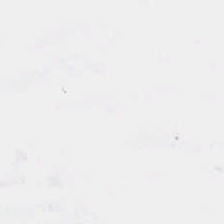Formalin-fixed paraffin-embedded section · hematoxylin-and-eosin stained section · 224×224 pixel tile — This field is background (no tissue).
